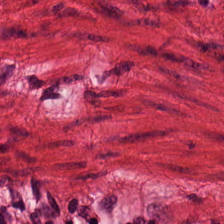Brightfield · H&E stain. Predominantly smooth-muscle tissue.
